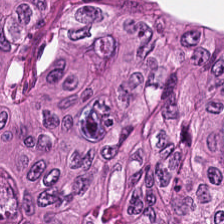Hematoxylin-and-eosin stained section; 224×224 px patch; whole-slide-image patch. Predominant tissue: colorectal adenocarcinoma.
